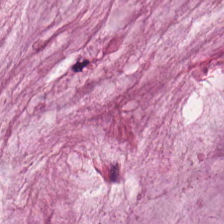The predominant tissue is mucus.
